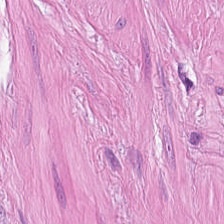Formalin-fixed paraffin-embedded section. Hematoxylin and eosin. 224×224 pixel tile. The tissue class is smooth-muscle tissue.
